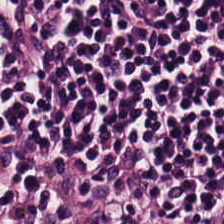Histology → lymphocyte aggregate.
